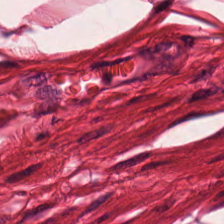Stain: hematoxylin and eosin.
Tissue type: smooth muscle.
